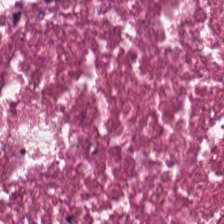Q: What tissue type is shown here?
A: The field shows debris.
